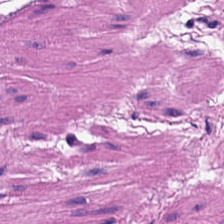Formalin-fixed paraffin-embedded section · hematoxylin-and-eosin stained section — This patch shows smooth-muscle tissue.
